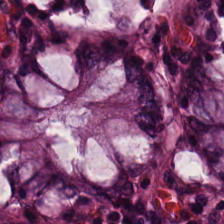Stain: H&E-stained tissue section.
Predominant tissue: normal colonic mucosa.
